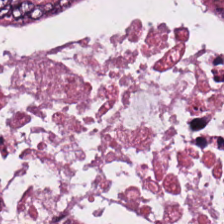Stain: H&E.
Tile size: 224×224 px tile.
Tissue: colorectal adenocarcinoma.
